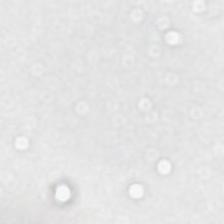H&E-stained tissue section.
This field is background (no tissue).
